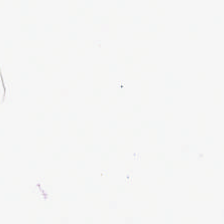Hematoxylin and eosin; brightfield microscopy; formalin-fixed paraffin-embedded section — Field content — background (no tissue).
